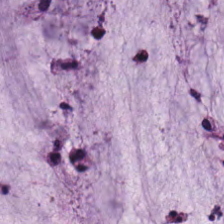Histology — mucin.
